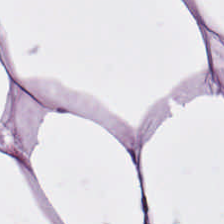Hematoxylin and eosin — Histology → adipose tissue.
